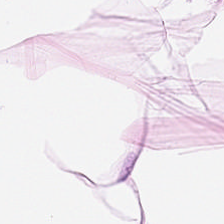Hematoxylin and eosin. FFPE tissue section — Predominantly adipose tissue.
